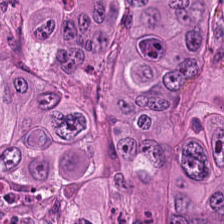Hematoxylin-and-eosin section: adenocarcinoma.
